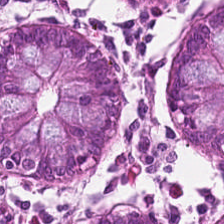Hematoxylin and eosin; FFPE tissue section; whole-slide-image patch — Impression — benign colonic mucosa.
